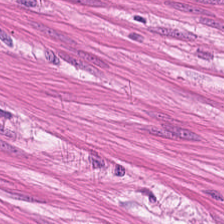Hematoxylin and eosin · FFPE tissue section — Q: What is shown here?
A: It is muscularis.
